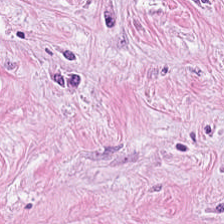Whole-slide-image patch; H&E-stained tissue section; 0.5 microns per pixel.
The predominant tissue is tumor-associated stroma.
